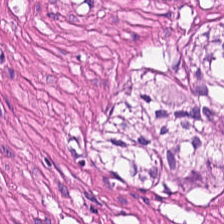Hematoxylin-and-eosin stained section. Predominant tissue = smooth-muscle tissue.
